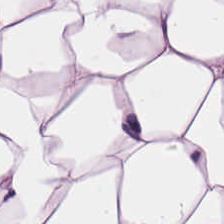0.5 µm/px. 224×224 px tile. H&E-stained tissue section. The tissue class is adipose.
